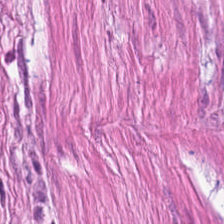H&E — The predominant tissue is smooth muscle.
